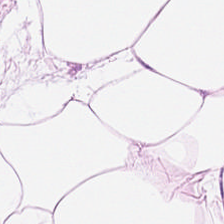FFPE tissue section · H&E stain. Impression → adipocytes.
